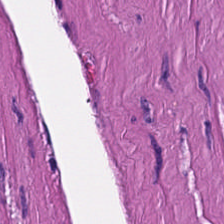Stain: H&E stain.
Tile size: 224×224 px tile.
Acquisition: whole-slide-image patch.
Classification: muscularis.
